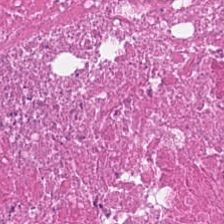H&E. The classification is cellular debris.
